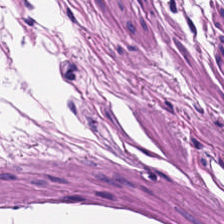Hematoxylin and eosin — Classification: muscularis.
